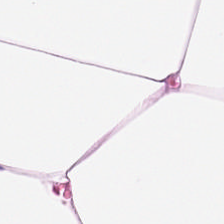H&E-stained tissue section. 224×224 px tile.
{"tissue_type": "adipose"}
